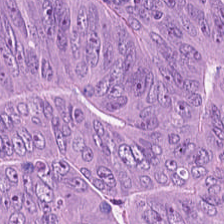224×224 px patch · H&E-stained tissue section. Tissue: colorectal adenocarcinoma epithelium.
